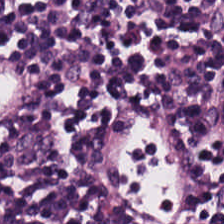{"tissue_type": "lymphocytes"}
